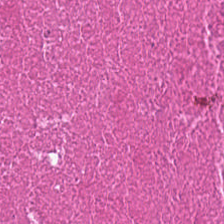H&E-stained tissue section. WSI patch.
This patch shows debris.
